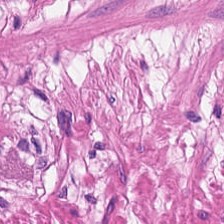Hematoxylin and eosin. Showing smooth-muscle tissue.
